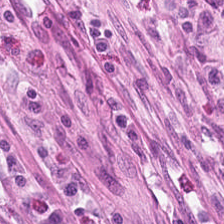H&E-stained tissue section — Predominant tissue: normal colon mucosa.
